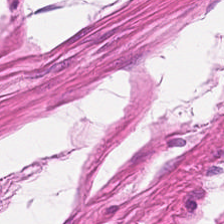Hematoxylin-and-eosin stained section · brightfield.
Q: What type of tissue is this?
A: It is smooth-muscle tissue.
